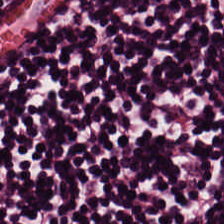Hematoxylin-and-eosin section: lymphocytes.
